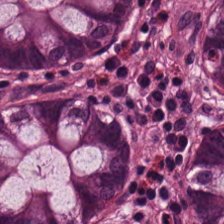H&E-stained tissue section showing normal colonic mucosa.
